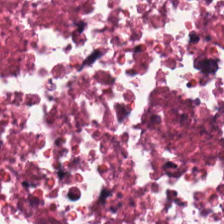224×224 px patch · H&E — The tissue is necrotic debris.
